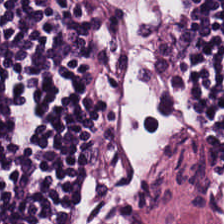Hematoxylin and eosin — The tissue here is lymphocytic infiltrate.
